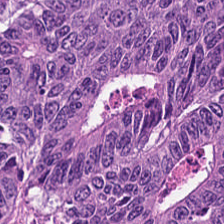Hematoxylin-and-eosin stained section — Classification: tumor epithelium.
